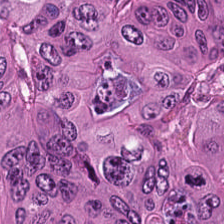Formalin-fixed paraffin-embedded section · H&E.
The tissue class is colorectal adenocarcinoma.
